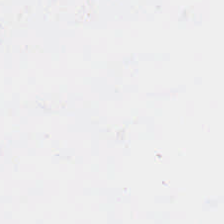H&E-stained tissue section; FFPE tissue section. Impression — empty background.
